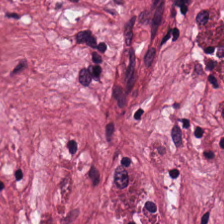H&E-stained tissue section showing cancer-associated stroma.
